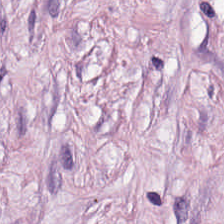H&E stain · 0.5 µm per pixel. Predominantly tumor stroma.
